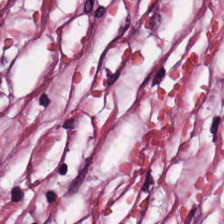Hematoxylin-and-eosin stained section. Brightfield microscopy — The tissue here is desmoplastic stroma.
